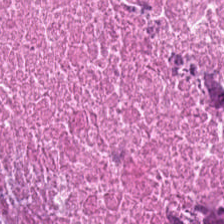Hematoxylin and eosin; 20× equivalent magnification. Tissue: debris.
